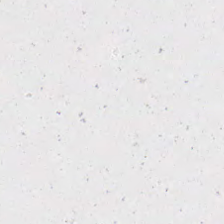No tissue present; background only.
